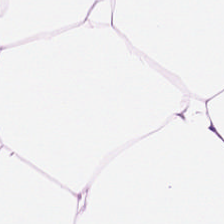Q: Identify the tissue.
A: The field shows adipose tissue.
